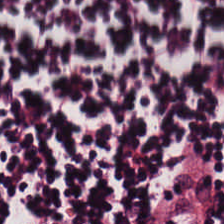224×224 px tile; hematoxylin-and-eosin stained section; FFPE tissue section. The tissue here is lymphocytes.
